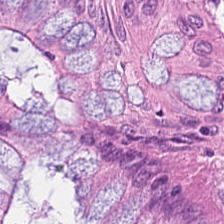H&E stain · 224×224 pixel tile — Non-neoplastic colon mucosa.
